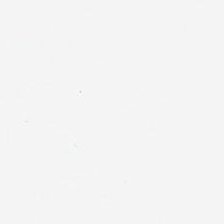Hematoxylin and eosin · brightfield.
No tissue present; background only.
